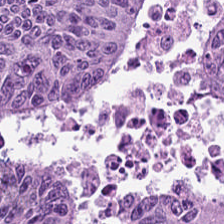H&E. Whole-slide-image patch. {"tissue_type": "malignant epithelium"}
